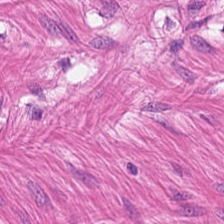H&E-stained tissue section; 0.5 µm per pixel — Smooth muscle.
